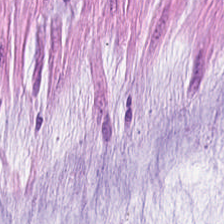H&E stain.
Q: What tissue is shown?
A: It is extracellular mucin.
